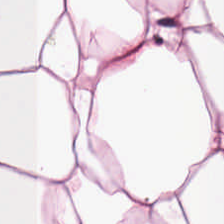Hematoxylin-and-eosin stained section.
{"tissue_type": "fat tissue"}
